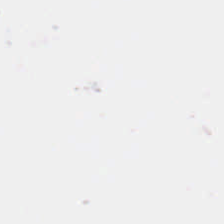Field content = empty background.
